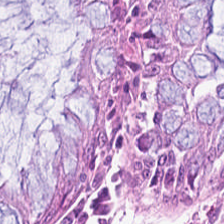Stain: H&E stain.
Classification: normal colon mucosa.
